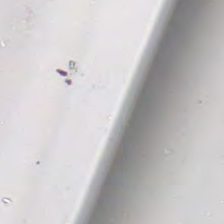Hematoxylin-and-eosin stained section.
Impression → no tissue.
